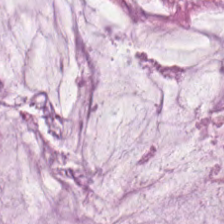Hematoxylin-and-eosin stained section. Q: What type of tissue is this?
A: Mucus.
